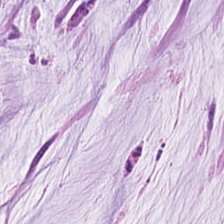Hematoxylin-and-eosin stained section · 0.5 µm per pixel · 224×224 px patch — Finding → extracellular mucin.
